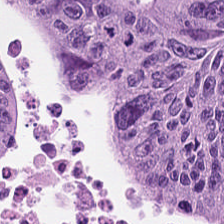Stain: hematoxylin-and-eosin stained section.
Predominant tissue: colorectal adenocarcinoma epithelium.
